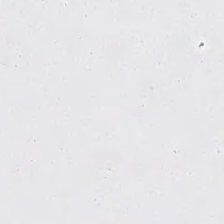0.5 µm/px. H&E-stained tissue section — Background — no tissue in this field.
